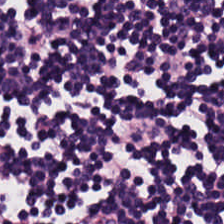H&E-stained tissue section.
Tissue class — lymphocytes.
